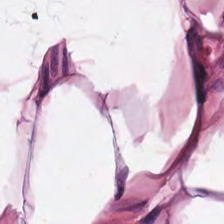Stain: H&E-stained tissue section.
Tissue class: adipose tissue.
